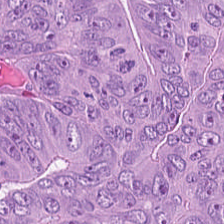Stain: H&E.
Resolution: 0.5 microns per pixel.
Classification: colorectal adenocarcinoma epithelium.
